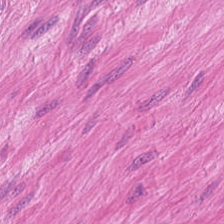H&E-stained tissue section.
{"tissue_type": "muscularis"}
